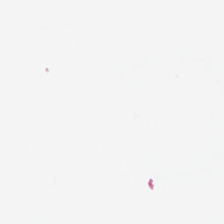Hematoxylin-and-eosin stained section.
Empty background.
